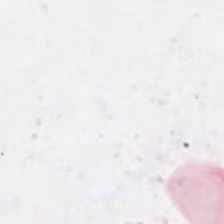Histology — no tissue.
